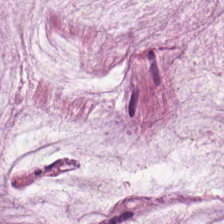H&E stain — Mucin.
